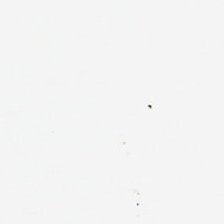Hematoxylin-and-eosin stained section — Q: What does this patch show?
A: The field shows background.
